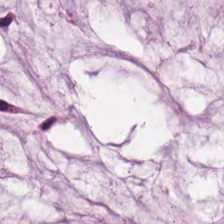H&E stain.
Tissue class = extracellular mucin.
